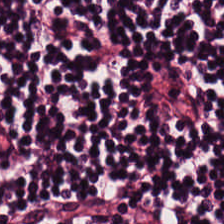224×224 pixel tile · hematoxylin and eosin · FFPE tissue section.
Tissue type — lymphoid infiltrate.
